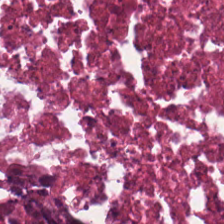H&E stain.
The classification is debris.
